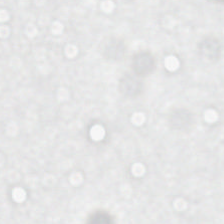Hematoxylin and eosin — Histology → empty background.
